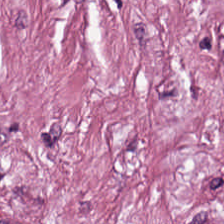0.5 µm per pixel. H&E stain. Whole-slide-image patch — Tissue type — tumor-associated stroma.
